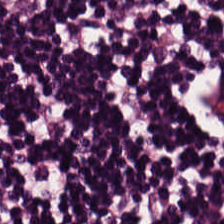Hematoxylin and eosin.
Predominantly lymphocytes.
